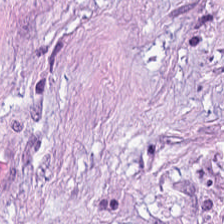Tissue type = tumor stroma.
